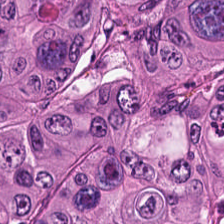Formalin-fixed paraffin-embedded section. H&E. 0.5 microns per pixel.
{"tissue_type": "malignant epithelium"}
